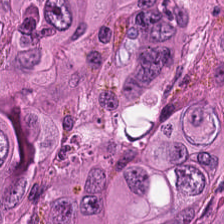FFPE. 224×224 px patch. Hematoxylin-and-eosin stained section.
Tumor epithelium.
